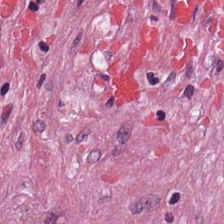FFPE · hematoxylin-and-eosin stained section · 0.5 µm/px.
This patch shows tumor-associated stroma.
